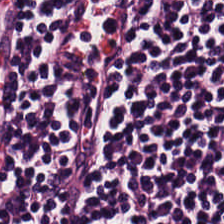Hematoxylin-and-eosin stained section — Q: What is shown in this field?
A: The field shows lymphocytes.
